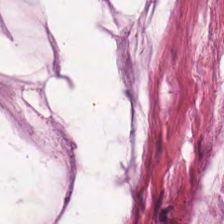H&E. This field is mucus.
